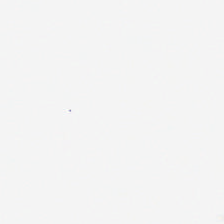Hematoxylin and eosin — Background (no tissue).
